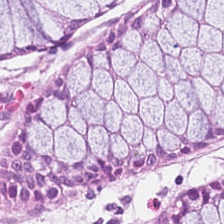H&E stain. Tissue class — normal colonic mucosa.
